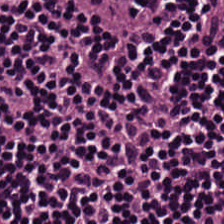H&E stain — Finding — lymphoid infiltrate.
